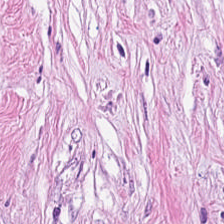H&E patch showing cancer-associated stroma.
